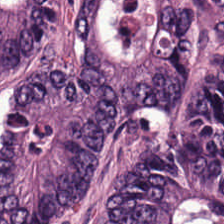H&E-stained tissue section.
Colorectal adenocarcinoma epithelium.
